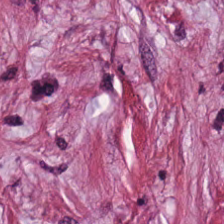Stain: hematoxylin and eosin.
Preparation: formalin-fixed paraffin-embedded section.
Acquisition: brightfield microscopy.
Tissue type: tumor stroma.
